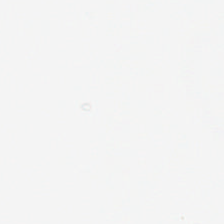Hematoxylin and eosin; 0.5 µm/px; 224×224 pixel tile. {"content": "no tissue"}
